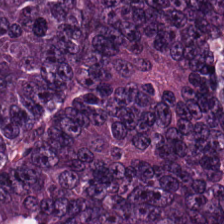H&E-stained tissue section. Finding → tumor epithelium.
